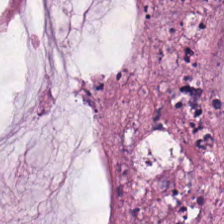Hematoxylin and eosin — Classification = mucin.
